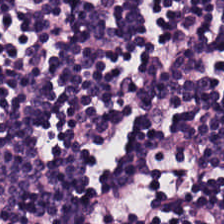The predominant tissue is lymphoid infiltrate.
